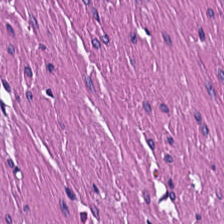Formalin-fixed paraffin-embedded section; hematoxylin and eosin. This field is smooth-muscle tissue.
